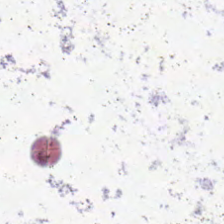This field is background (no tissue).
